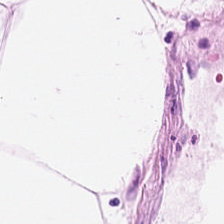H&E.
Predominant tissue = adipose.
